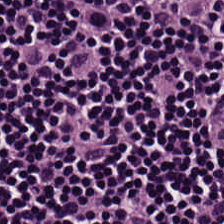H&E · FFPE. Q: What is shown here?
A: This is lymphocyte aggregate.
